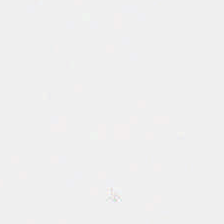Hematoxylin-and-eosin stained section.
Impression — empty background.
